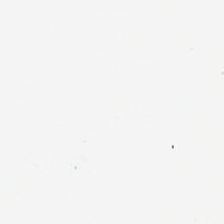Hematoxylin-and-eosin stained section · formalin-fixed paraffin-embedded section — The field content is no tissue.
